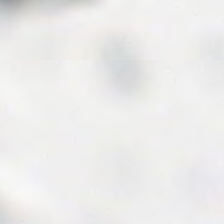H&E stain · FFPE. The classification is no tissue.
